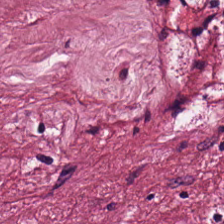H&E stain · FFPE — Impression → cancer-associated stroma.
